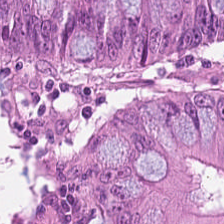Hematoxylin-and-eosin stained section — Finding — colorectal adenocarcinoma epithelium.
